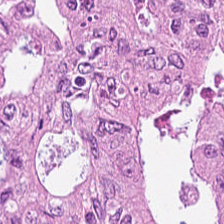Hematoxylin and eosin. This field is colorectal adenocarcinoma.
